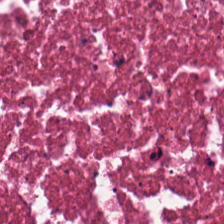Hematoxylin and eosin · 224×224 px patch · whole-slide-image patch — Q: Identify the tissue.
A: It is necrotic debris.
